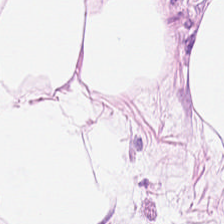Stain: H&E-stained tissue section.
Tissue type: adipose tissue.
